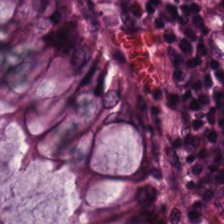Classification: benign colonic mucosa.
